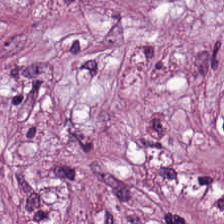Brightfield microscopy; 224×224 pixel tile; H&E-stained tissue section. Tissue type — desmoplastic stroma.
